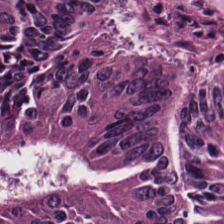Hematoxylin-and-eosin stained section. The tissue here is tumor epithelium.
